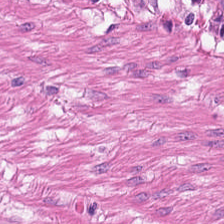H&E-stained tissue section — This field is smooth-muscle tissue.
